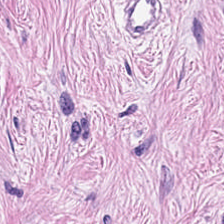H&E — Predominant tissue — desmoplastic stroma.
